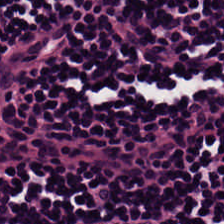H&E-stained tissue section — Q: What is the predominant tissue type?
A: It is lymphocyte aggregate.
